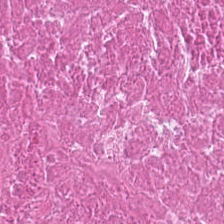H&E. The predominant tissue is necrotic debris.
